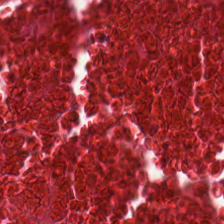Stain: H&E stain.
Tissue class: necrotic debris.
